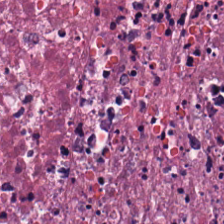The predominant tissue is debris.
